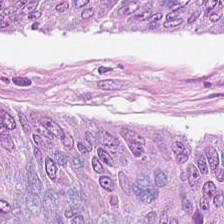H&E-stained tissue section. Q: What is the predominant tissue type?
A: Colorectal adenocarcinoma.
